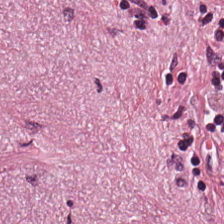The predominant tissue is desmoplastic stroma.
